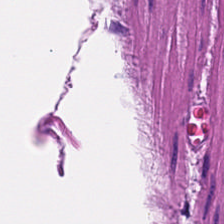H&E — Impression — smooth-muscle tissue.
